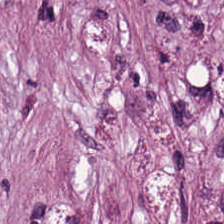The tissue here is cancer-associated stroma.
